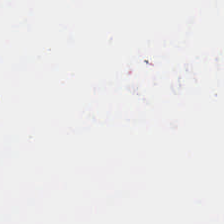224×224 pixel tile · brightfield microscopy · H&E stain.
No tissue present; background only.
